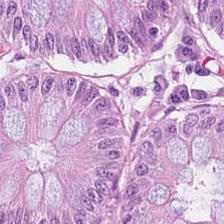H&E-stained tissue section · FFPE · 224×224 px patch — Histology — non-neoplastic colon mucosa.
